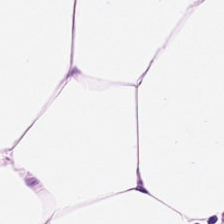H&E · 0.5 µm/px. Q: What tissue type is shown here?
A: Fat tissue.
